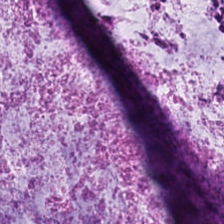20× equivalent magnification · WSI patch · H&E. Tissue type = extracellular mucin.
